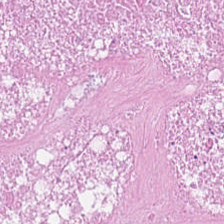Classification: necrotic debris.
